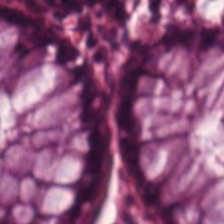H&E. {"tissue_type": "non-neoplastic colon mucosa"}
